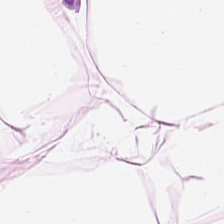Hematoxylin-and-eosin stained section. 0.5 microns per pixel. Q: What is shown in this field?
A: This is adipose tissue.
